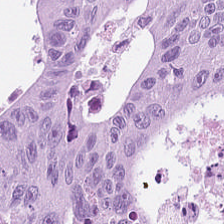H&E — Showing tumor epithelium.
